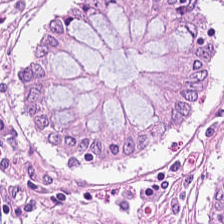H&E-stained tissue section — Classification = non-neoplastic colon mucosa.
